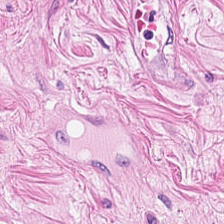H&E-stained tissue section; FFPE. Showing smooth-muscle tissue.
